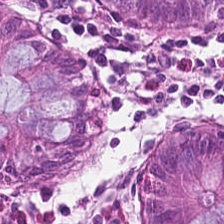Stain: hematoxylin-and-eosin stained section.
Classification: non-neoplastic colon mucosa.
